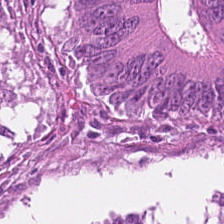H&E stain — Histology → malignant epithelium.
